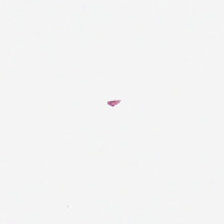Empty field — background.
